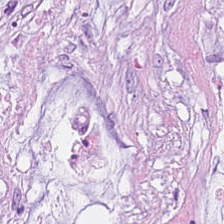Stain: hematoxylin-and-eosin stained section.
Tissue type: extracellular mucin.
